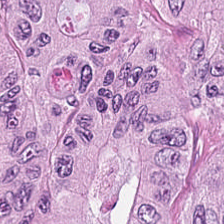Stain: H&E stain.
Classification: tumor epithelium.
